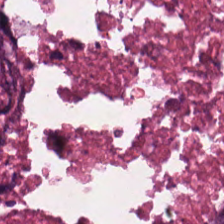Hematoxylin-and-eosin stained section · 0.5 microns per pixel. Predominant tissue: cellular debris.
